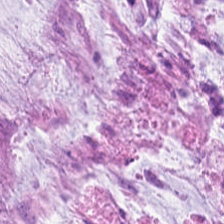Q: What is the predominant tissue type?
A: This is mucin.
